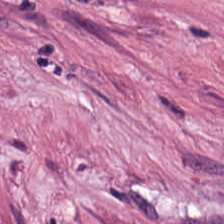Hematoxylin-and-eosin stained section.
The predominant tissue is desmoplastic stroma.
